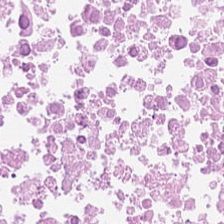H&E — Q: What tissue type is shown here?
A: It is debris.
